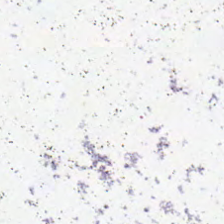Stain: H&E-stained tissue section.
Content: background (no tissue).
